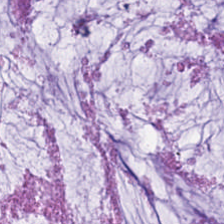FFPE. Hematoxylin and eosin.
The tissue is mucus.
